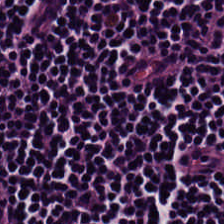224×224 pixel tile · H&E stain — Impression — lymphoid infiltrate.
